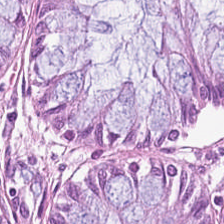Hematoxylin and eosin.
Histology — normal colon mucosa.
